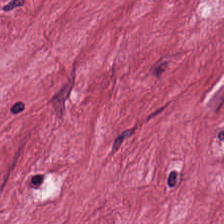H&E stain. 20× equivalent magnification — Tissue class = tumor stroma.
